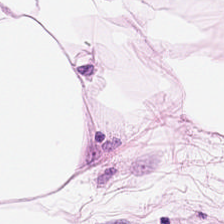Whole-slide-image patch. Hematoxylin-and-eosin stained section — Predominantly adipose tissue.
